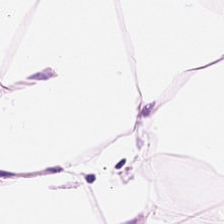Hematoxylin and eosin. Tissue = adipose.
